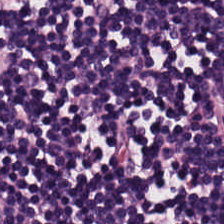Q: What tissue is shown?
A: The field shows lymphocyte aggregate.
